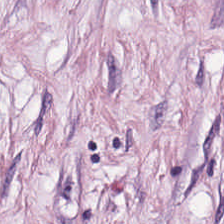WSI patch; H&E stain; formalin-fixed paraffin-embedded section. Predominantly tumor-associated stroma.
